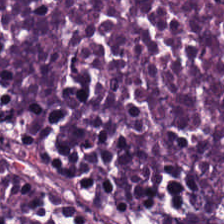H&E. This field is debris.
